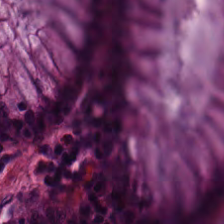Hematoxylin and eosin — Tissue: benign colonic mucosa.
